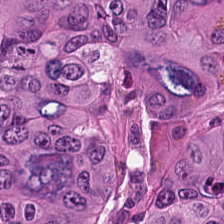Hematoxylin and eosin.
Tissue = colorectal adenocarcinoma.
